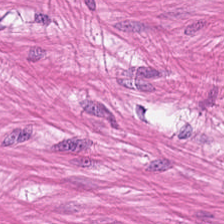H&E stain — Impression — smooth-muscle tissue.
